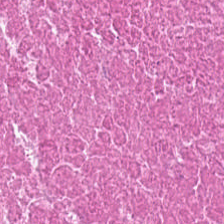This field is necrotic debris.
